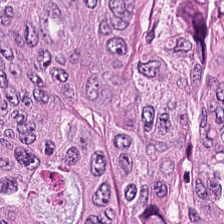The classification is adenocarcinoma.
